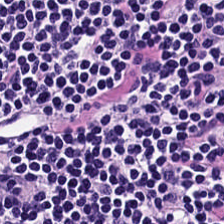Hematoxylin-and-eosin stained section.
Impression — lymphocyte aggregate.
